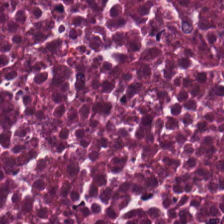Hematoxylin and eosin · 224×224 px patch — The tissue class is necrotic debris.
